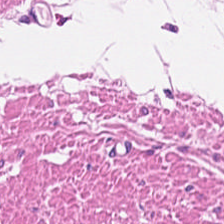Hematoxylin and eosin; 224×224 pixel tile; WSI patch. {"tissue_type": "muscularis"}
